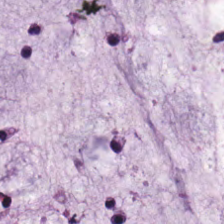H&E-stained tissue section.
Classification: mucus.
